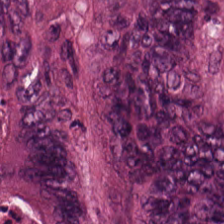Hematoxylin and eosin — Tumor epithelium.
